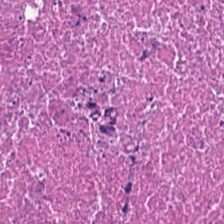224×224 px tile; hematoxylin-and-eosin stained section — Finding → cellular debris.
